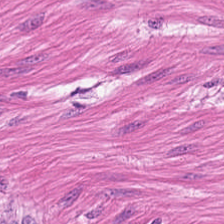Smooth muscle.
